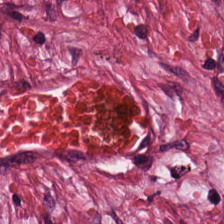H&E.
Q: What is the predominant tissue type?
A: It is tumor-associated stroma.
